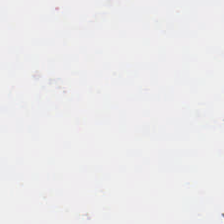224×224 pixel tile. H&E-stained tissue section. Content — no tissue.
